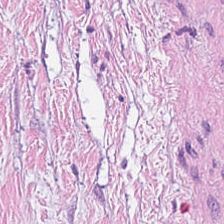H&E-stained tissue section showing cancer-associated stroma.
